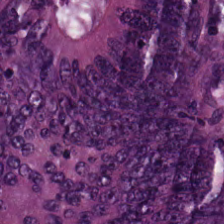The tissue here is colorectal adenocarcinoma.
